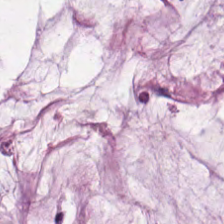0.5 µm per pixel; hematoxylin and eosin; formalin-fixed paraffin-embedded section. Histology → extracellular mucin.
